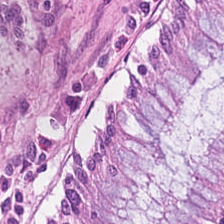224×224 px patch; hematoxylin-and-eosin stained section — The tissue class is non-neoplastic colon mucosa.
